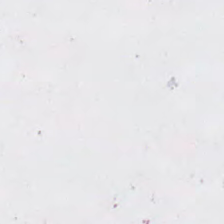224×224 pixel tile. H&E-stained tissue section — Classification: background.
